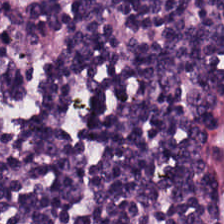224×224 px patch · H&E-stained tissue section.
Q: Classify this patch.
A: It is lymphocyte aggregate.
